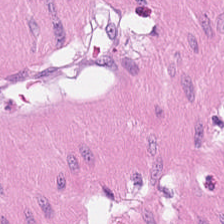H&E.
Q: Classify this patch.
A: Smooth-muscle tissue.
